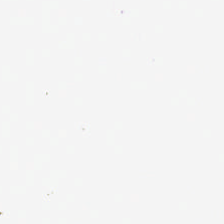H&E stain. Classification = background.
